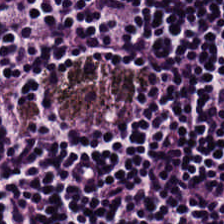Q: Classify this patch.
A: This is lymphocytes.
